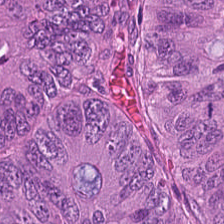Hematoxylin-and-eosin stained section.
Impression — malignant epithelium.
